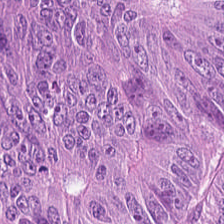H&E stain — This patch shows colorectal adenocarcinoma.
